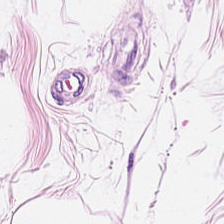224×224 px tile; H&E-stained tissue section.
This patch shows adipocytes.
